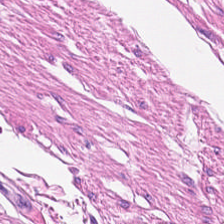Hematoxylin-and-eosin stained section. Formalin-fixed paraffin-embedded section. 0.5 µm per pixel. The classification is muscularis.
